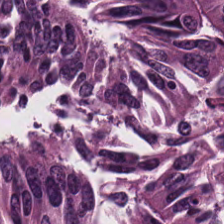Impression — adenocarcinoma.
